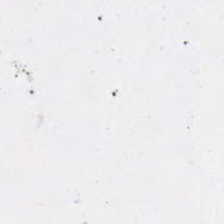Empty field — empty background.
